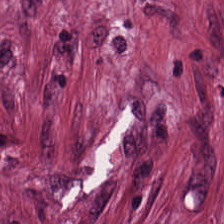{"tissue_type": "cancer-associated stroma"}
